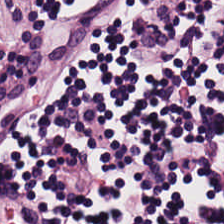H&E. 20× equivalent magnification. WSI patch — Predominantly lymphoid infiltrate.
